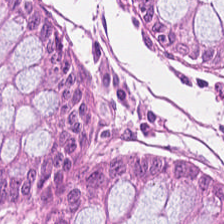Hematoxylin and eosin. 224×224 px tile — The predominant tissue is normal colon mucosa.
